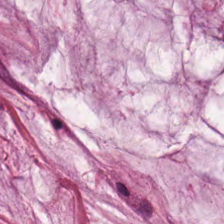Stain: H&E stain.
Predominant tissue: extracellular mucin.
